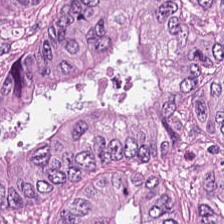Hematoxylin-and-eosin stained section. The predominant tissue is adenocarcinoma.
